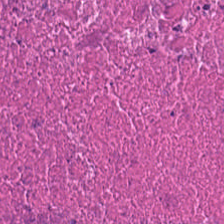0.5 µm per pixel; H&E stain; FFPE tissue section. Q: Classify this patch.
A: The field shows debris.
